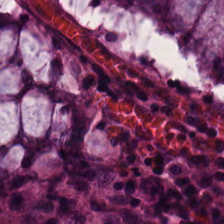Stain: H&E-stained tissue section.
Tissue class: normal colonic mucosa.
